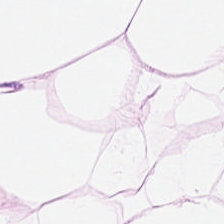Stain: H&E-stained tissue section.
Tile size: 224×224 px tile.
Preparation: formalin-fixed paraffin-embedded section.
Tissue type: adipocytes.
